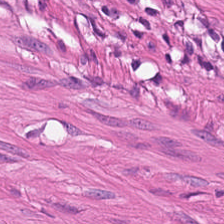H&E-stained tissue section. This patch shows smooth muscle.
